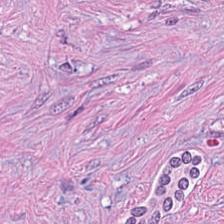224×224 px tile. H&E-stained tissue section.
Showing tumor stroma.
